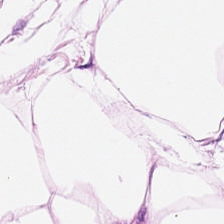Whole-slide-image patch · H&E.
Tissue: fat tissue.
